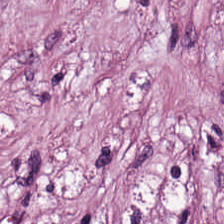Stain: H&E-stained tissue section.
Tissue class: tumor stroma.
